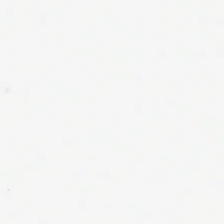Stain: H&E-stained tissue section.
Field content: empty background.
